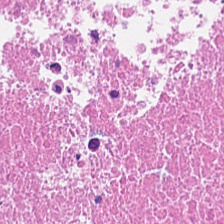H&E-stained tissue section.
Classification: debris.
